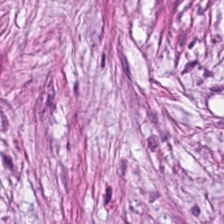Tissue — tumor stroma.
